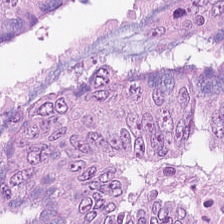H&E-stained tissue section. Q: Identify the tissue.
A: This is colorectal adenocarcinoma.
